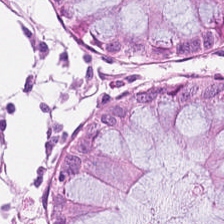Q: What is the predominant tissue type?
A: It is benign colonic mucosa.
